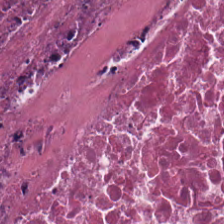Predominant tissue: necrotic debris.
